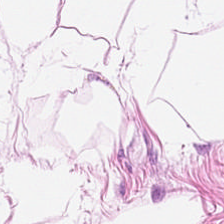H&E stain — Showing adipocytes.
